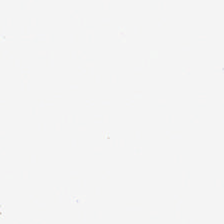224×224 px tile. Hematoxylin-and-eosin stained section. Content — background.
